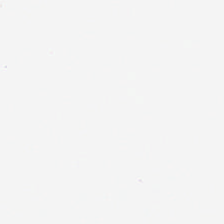H&E-stained tissue section. Q: What does this patch show?
A: Background (no tissue).
